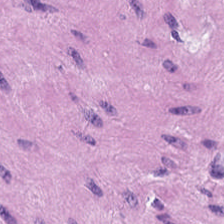FFPE · brightfield · hematoxylin-and-eosin stained section — This patch shows smooth-muscle tissue.
